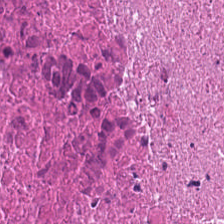Hematoxylin and eosin. Necrotic debris.
